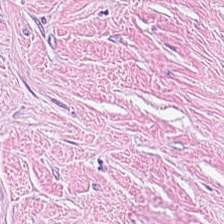The tissue type is desmoplastic stroma.
